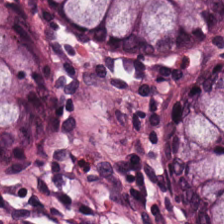Whole-slide-image patch. 224×224 px patch. H&E-stained tissue section. The tissue here is non-neoplastic colon mucosa.
